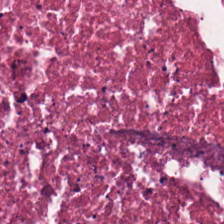Q: What tissue type is shown here?
A: It is necrotic debris.
